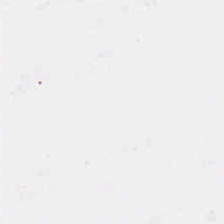This field is background (no tissue).
